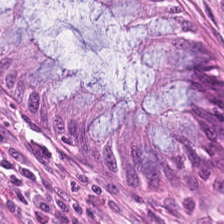Hematoxylin-and-eosin stained section. Finding — benign colonic mucosa.
